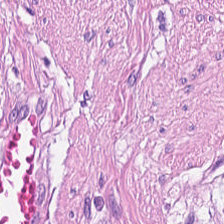H&E patch showing muscularis.
